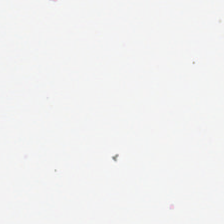WSI patch; hematoxylin-and-eosin stained section — Empty field — empty background.
